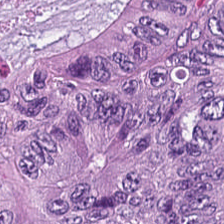H&E · 0.5 µm/px — Q: What tissue type is shown here?
A: The field shows colorectal adenocarcinoma.
